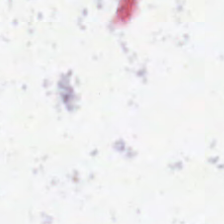H&E.
Q: What does this patch show?
A: Background (no tissue).
